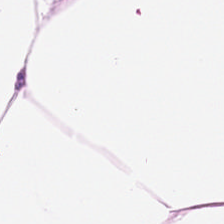Stain: H&E.
Tissue type: adipocytes.
